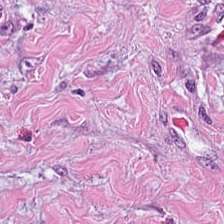The predominant tissue is cancer-associated stroma.
